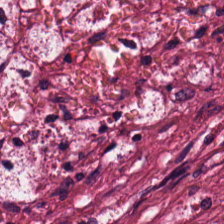Hematoxylin-and-eosin stained section.
Q: Identify the tissue.
A: Tumor stroma.
